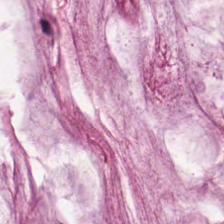H&E stain. Tissue: mucin.
